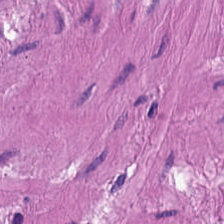0.5 microns per pixel. H&E stain.
Tissue type = smooth muscle.
